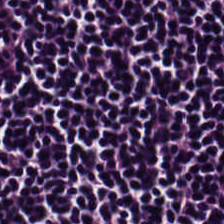Q: What is shown here?
A: This is lymphocyte aggregate.
